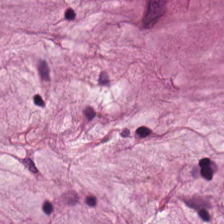H&E stain · WSI patch.
Q: What is shown in this field?
A: The field shows mucin.
